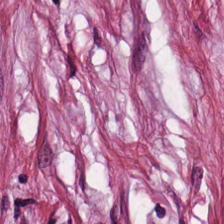Formalin-fixed paraffin-embedded section; 224×224 px tile; H&E-stained tissue section.
Impression → desmoplastic stroma.
